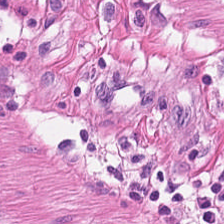0.5 microns per pixel · 224×224 px tile · hematoxylin and eosin — Predominantly smooth-muscle tissue.
